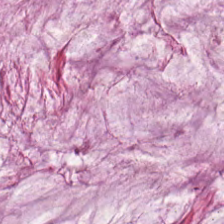Hematoxylin and eosin · brightfield microscopy — Tissue = mucin.
